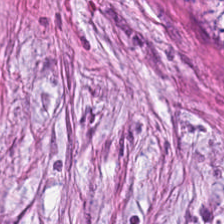Hematoxylin and eosin.
Q: What is shown here?
A: This is desmoplastic stroma.
